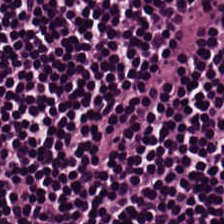0.5 µm per pixel; H&E.
Lymphocytic infiltrate.
